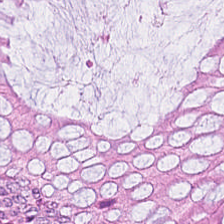Hematoxylin and eosin — Q: What type of tissue is this?
A: The field shows benign colonic mucosa.
